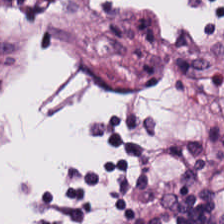H&E-stained tissue section. Impression → lymphoid infiltrate.
